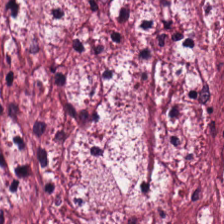Stain: H&E.
Classification: cancer-associated stroma.
